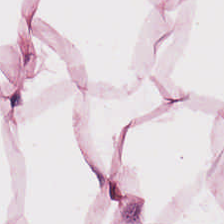0.5 µm/px; hematoxylin-and-eosin stained section — Tissue type: adipose.
